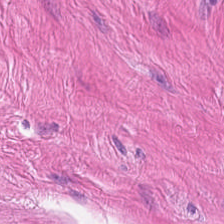Hematoxylin-and-eosin stained section.
This field is smooth-muscle tissue.
